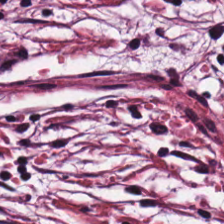Q: What tissue is shown?
A: It is desmoplastic stroma.
